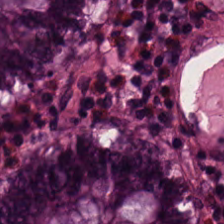Stain: hematoxylin and eosin.
Tissue type: normal colon mucosa.
